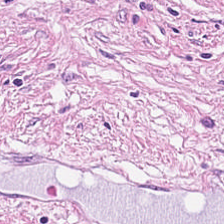Finding — desmoplastic stroma.
